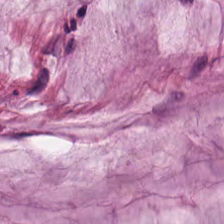Classification = extracellular mucin.
